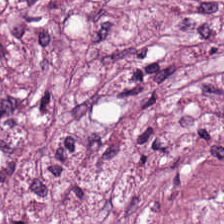H&E stain — Tissue class: tumor stroma.
